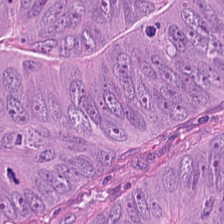H&E stain; formalin-fixed paraffin-embedded section.
Tissue class: colorectal adenocarcinoma epithelium.
